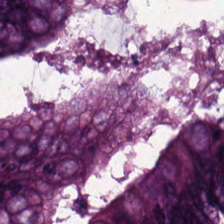H&E — tumor epithelium.
